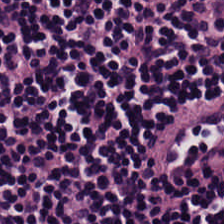Classification = lymphoid infiltrate.
